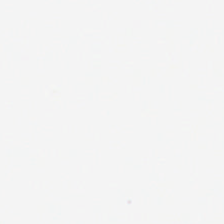0.5 µm/px. H&E-stained tissue section. This patch shows no tissue.
